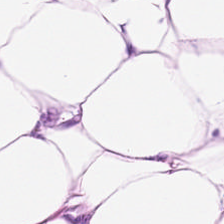H&E. Histology — fat tissue.
